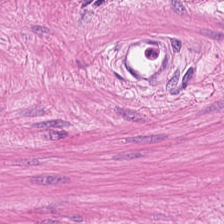224×224 px patch; H&E-stained tissue section.
This field is smooth muscle.
